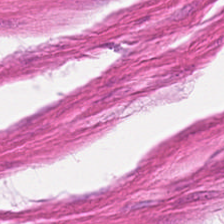Q: What does this patch show?
A: Smooth muscle.
